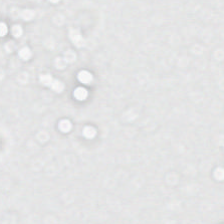Hematoxylin and eosin. Finding — background (no tissue).
